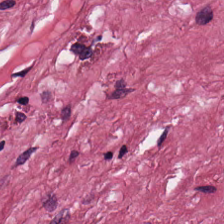H&E stain. Brightfield microscopy. Histology — tumor-associated stroma.
